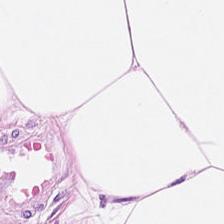H&E-stained tissue section — Predominantly fat tissue.
